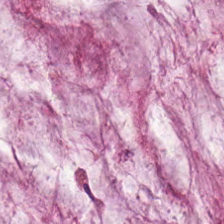H&E stain · 224×224 px tile — The tissue here is extracellular mucin.
